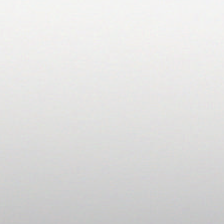Hematoxylin-and-eosin stained section. This patch shows empty background.
